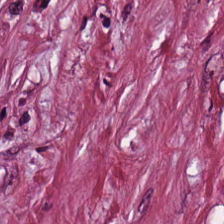Hematoxylin-and-eosin stained section; 20× equivalent magnification; FFPE — This field is tumor-associated stroma.
